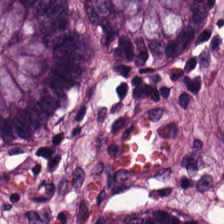H&E stain — Predominantly non-neoplastic colon mucosa.
